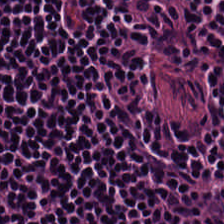Stain: H&E.
Preparation: FFPE.
Classification: lymphocyte aggregate.
